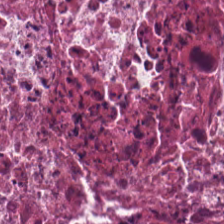Brightfield microscopy; 0.5 microns per pixel; H&E.
Tissue class: debris.
